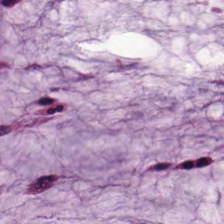Hematoxylin-and-eosin stained section. This field is mucus.
